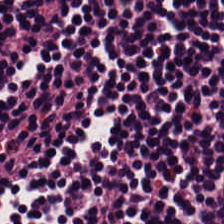224×224 px tile. Hematoxylin-and-eosin stained section.
Classification = lymphoid infiltrate.
